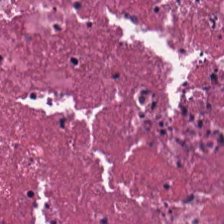20× equivalent magnification · H&E-stained tissue section.
Q: What is shown in this field?
A: It is necrotic debris.
